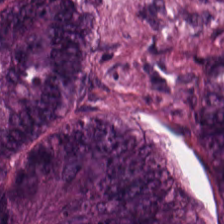Stain: H&E.
Acquisition: WSI patch.
Tissue: colorectal adenocarcinoma.
